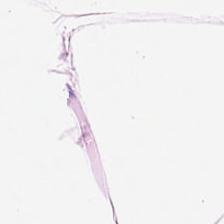Hematoxylin-and-eosin stained section.
Predominantly adipose tissue.
